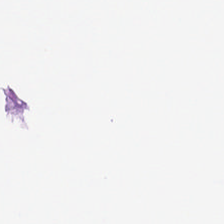FFPE · H&E stain · 224×224 px patch.
Field content — empty background.
